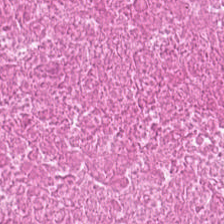224×224 px patch · H&E-stained tissue section.
This patch shows debris.
